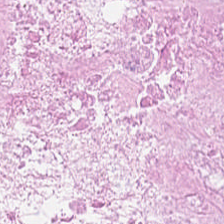H&E.
Tissue class = debris.
